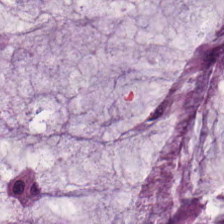Hematoxylin-and-eosin stained section — Histology → extracellular mucin.
